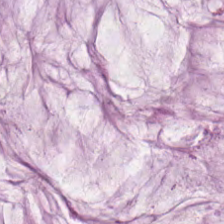Histology — mucus.
